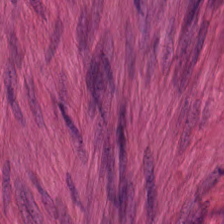H&E stain; 224×224 pixel tile; whole-slide-image patch. Tissue type: muscularis.
